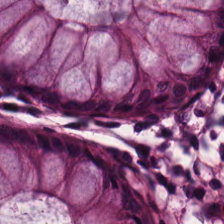H&E. Brightfield.
This patch shows normal colon mucosa.
